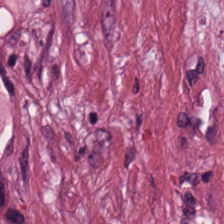H&E-stained tissue section. The tissue here is cancer-associated stroma.
